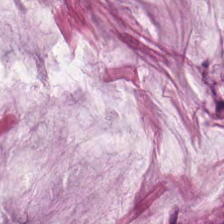H&E. Tissue: mucin.
